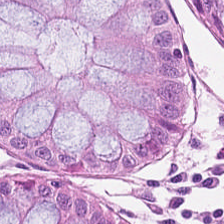Brightfield. 224×224 px tile. Hematoxylin-and-eosin stained section.
Predominantly non-neoplastic colon mucosa.
